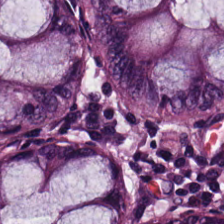H&E stain. Q: Classify this patch.
A: It is normal colon mucosa.
